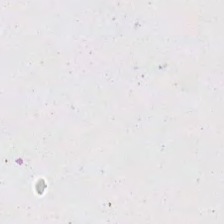224×224 pixel tile. Hematoxylin-and-eosin stained section. Formalin-fixed paraffin-embedded section.
Empty field — empty background.
